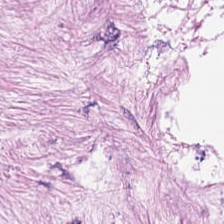Tissue type = cancer-associated stroma.
